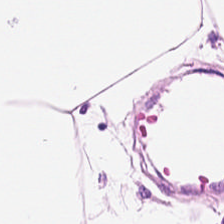Stain: hematoxylin-and-eosin stained section.
Resolution: 0.5 µm per pixel.
Tissue type: adipose tissue.
